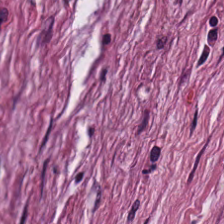H&E-stained tissue section · 224×224 px tile. Q: What is shown in this field?
A: This is tumor stroma.
